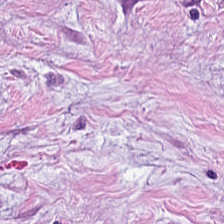H&E-stained tissue section.
Impression — cancer-associated stroma.
